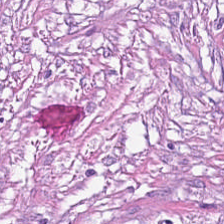H&E · FFPE. Tissue type: tumor stroma.
